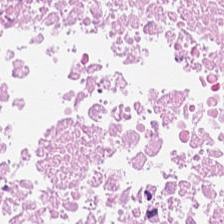Hematoxylin-and-eosin stained section — Tissue class = necrotic debris.
